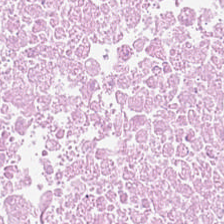Hematoxylin and eosin; 0.5 µm/px.
Showing necrotic debris.
